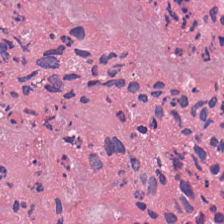Stain: H&E.
Classification: necrotic debris.
